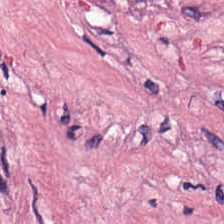Histology — desmoplastic stroma.
